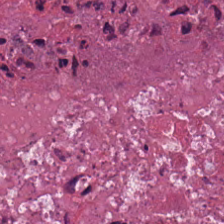The predominant tissue is cellular debris.
